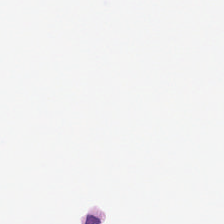224×224 px tile; H&E. Classification — no tissue.
